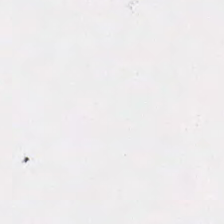H&E. Impression — background.
